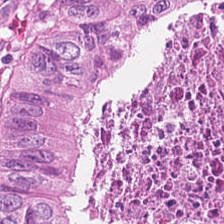H&E-stained tissue section · 0.5 microns per pixel · brightfield microscopy — The tissue here is adenocarcinoma.
